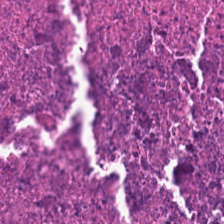Finding — necrotic debris.
